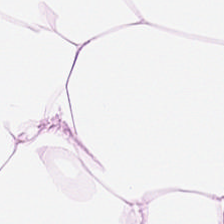H&E-stained tissue section.
Adipocytes.
